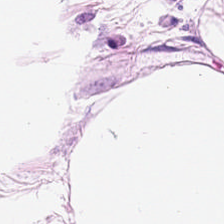Stain: hematoxylin-and-eosin stained section.
Classification: adipose tissue.
